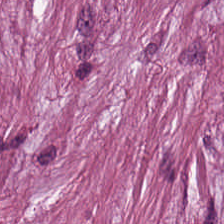Stain: hematoxylin-and-eosin stained section.
Predominant tissue: tumor stroma.
